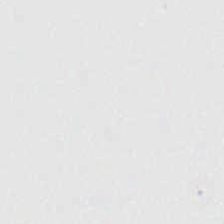Hematoxylin-and-eosin stained section. 20× equivalent magnification. Q: What is shown in this field?
A: This is empty background.
